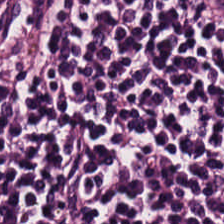H&E · formalin-fixed paraffin-embedded section.
Tissue = lymphocytic infiltrate.
